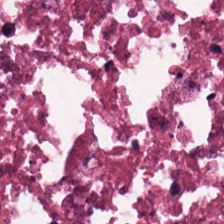H&E.
Tissue class = necrotic debris.
